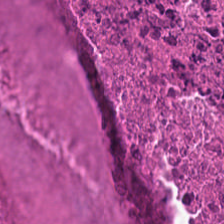Classification: necrotic debris.
